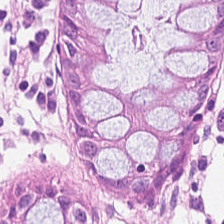WSI patch; H&E-stained tissue section; 0.5 µm per pixel. Predominant tissue: normal colon mucosa.
